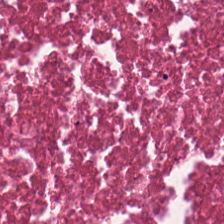Necrotic debris.
